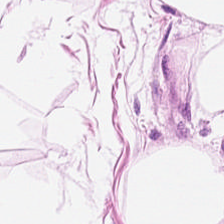224×224 px tile · H&E. Classification — adipocytes.
